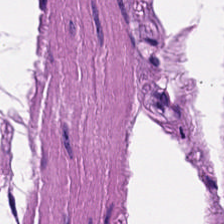Hematoxylin and eosin · 0.5 microns per pixel. Predominantly smooth-muscle tissue.
